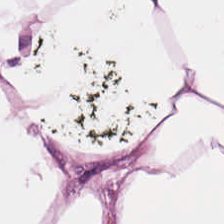Stain: H&E.
Tile size: 224×224 px tile.
Preparation: formalin-fixed paraffin-embedded section.
Classification: fat tissue.
